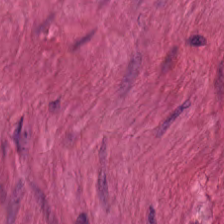Hematoxylin-and-eosin stained section — Showing smooth-muscle tissue.
